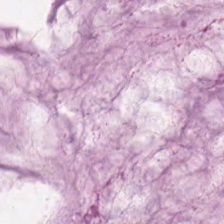This field is mucus.
